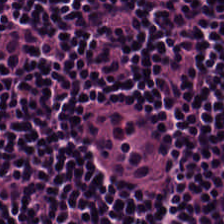FFPE tissue section. Brightfield microscopy. Hematoxylin-and-eosin stained section.
This patch shows lymphocytic infiltrate.
